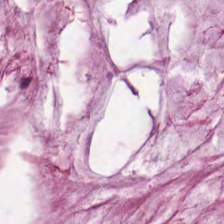0.5 µm per pixel. H&E stain. Brightfield.
Classification — mucin.
